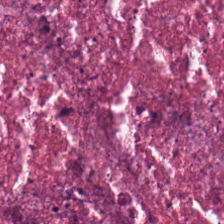Tissue class: necrotic debris.
